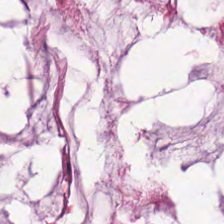H&E-stained tissue section · 0.5 µm per pixel. The tissue class is mucus.
